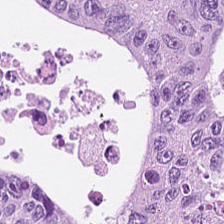Stain: H&E-stained tissue section.
Tile size: 224×224 px tile.
Preparation: FFPE tissue section.
Tissue class: colorectal adenocarcinoma.
